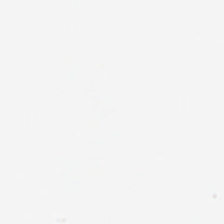Classification — background.
